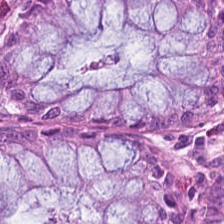224×224 pixel tile; H&E stain; 20× equivalent magnification — The predominant tissue is benign colonic mucosa.
